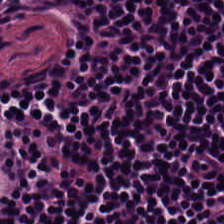Hematoxylin and eosin.
Q: What is shown in this field?
A: The field shows lymphocytic infiltrate.
